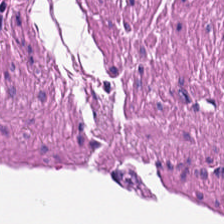H&E stain — The tissue is smooth muscle.
